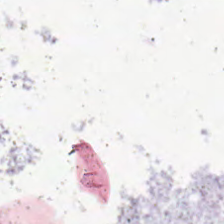The content is empty background.
